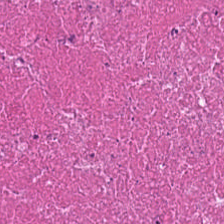H&E. Formalin-fixed paraffin-embedded section — Q: Identify the tissue.
A: Cellular debris.
